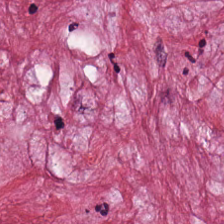Hematoxylin and eosin.
Impression → cancer-associated stroma.
